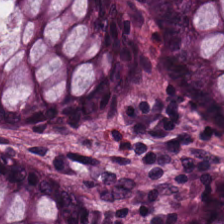The classification is normal colon mucosa.
